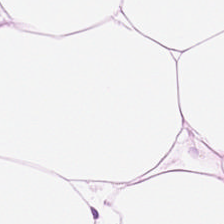Adipocytes.
